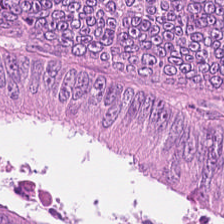Hematoxylin and eosin. Classification: tumor epithelium.
